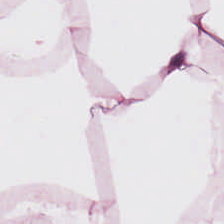H&E-stained tissue section. Q: What does this patch show?
A: The field shows adipose tissue.
